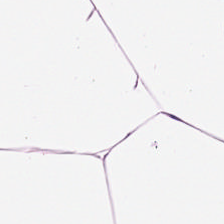Adipocytes.
